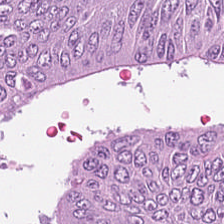224×224 pixel tile · hematoxylin and eosin. The tissue here is colorectal adenocarcinoma epithelium.
